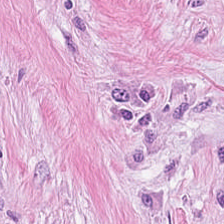Hematoxylin-and-eosin stained section — Desmoplastic stroma.
